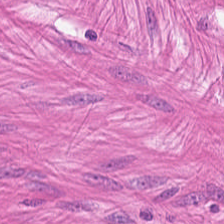H&E-stained tissue section. Tissue = muscularis.
